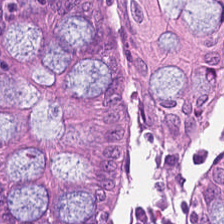WSI patch; H&E.
Q: What is the predominant tissue type?
A: Normal colon mucosa.
